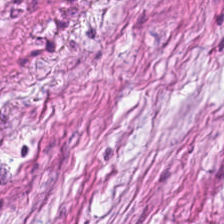Hematoxylin and eosin.
The tissue class is cancer-associated stroma.
